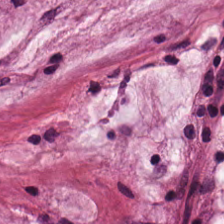Hematoxylin and eosin. Impression — mucus.
